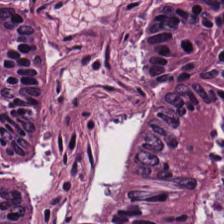Predominantly adenocarcinoma.
